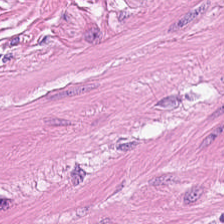Hematoxylin-and-eosin stained section. Q: Identify the tissue.
A: The field shows smooth-muscle tissue.
